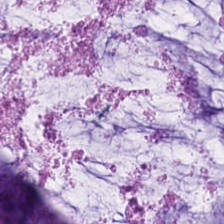H&E; FFPE tissue section.
Showing mucin.
